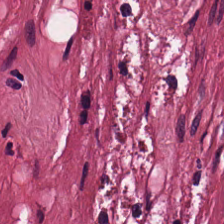The predominant tissue is cancer-associated stroma.
